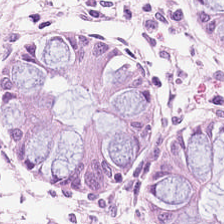0.5 µm per pixel. Hematoxylin and eosin. The predominant tissue is normal colonic mucosa.
